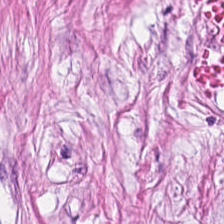Hematoxylin and eosin. The predominant tissue is desmoplastic stroma.
